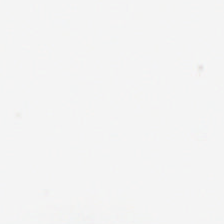H&E-stained tissue section — Classification — background.
